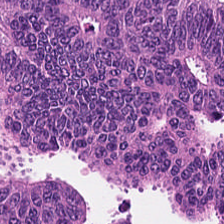Brightfield. 0.5 µm/px. H&E-stained tissue section. The predominant tissue is tumor epithelium.
